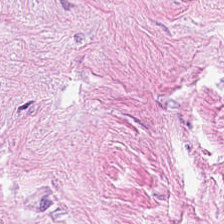H&E stain; 224×224 px patch.
{"tissue_type": "cancer-associated stroma"}
